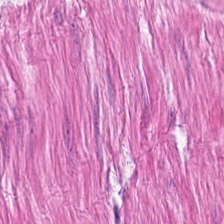Brightfield microscopy. 0.5 microns per pixel. Hematoxylin-and-eosin stained section.
This field is smooth muscle.
